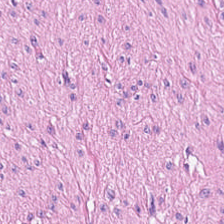Hematoxylin and eosin — The tissue type is smooth-muscle tissue.
